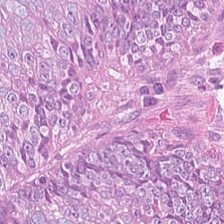H&E-stained tissue section. 20× equivalent magnification. Tissue = colorectal adenocarcinoma.
